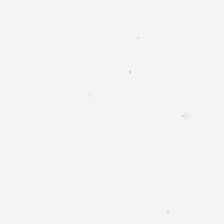H&E stain. The content is no tissue.
